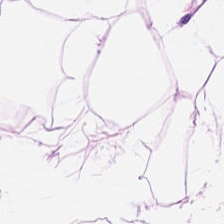This field is adipose.
